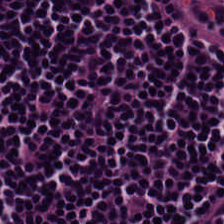224×224 pixel tile · whole-slide-image patch · hematoxylin-and-eosin stained section. Tissue type: lymphocyte aggregate.
